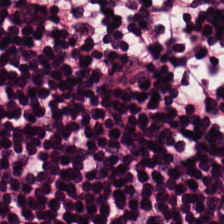Q: What tissue is shown?
A: It is lymphocytes.
